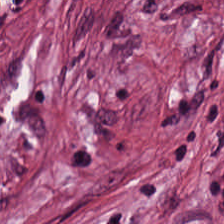Whole-slide-image patch · hematoxylin and eosin. Histology → tumor-associated stroma.
